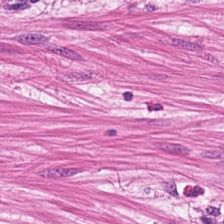Stain: H&E-stained tissue section.
Classification: smooth-muscle tissue.
